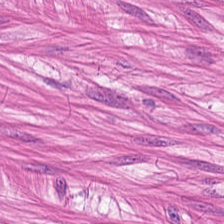Formalin-fixed paraffin-embedded section. Hematoxylin-and-eosin stained section. 0.5 microns per pixel. Finding — muscularis.
